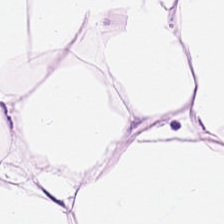H&E-stained tissue section.
The predominant tissue is adipose.
